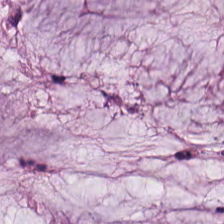Hematoxylin and eosin.
This patch shows extracellular mucin.
